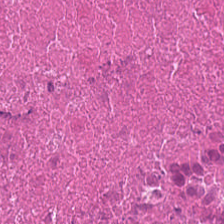{"tissue_type": "necrotic debris"}
